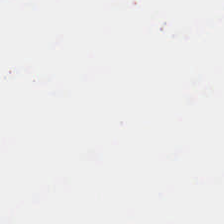This field is background (no tissue).
